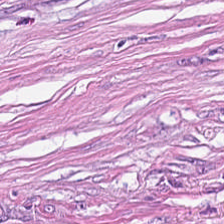H&E · 224×224 px tile · brightfield microscopy — Tumor-associated stroma.
